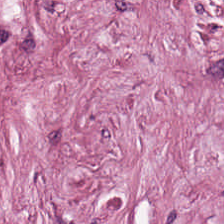Q: What does this patch show?
A: This is tumor-associated stroma.
